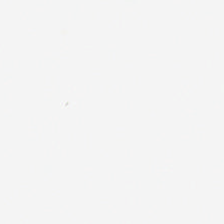H&E.
Histology → background (no tissue).
